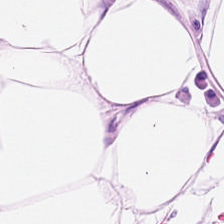Hematoxylin-and-eosin stained section; 0.5 µm/px — Predominantly adipose tissue.
